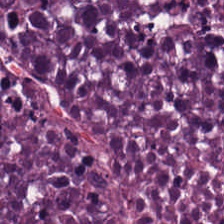H&E-stained tissue section. Impression — debris.
